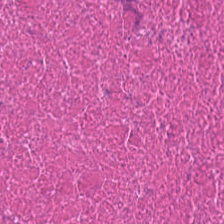The predominant tissue is necrotic debris.
